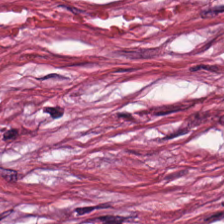Tissue type = tumor stroma.
